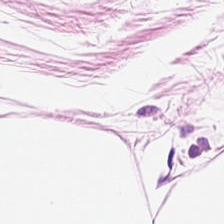Q: What is the predominant tissue type?
A: It is adipose tissue.
